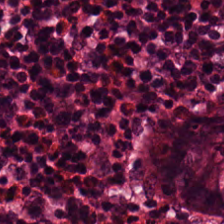FFPE. H&E-stained tissue section. {"tissue_type": "non-neoplastic colon mucosa"}
